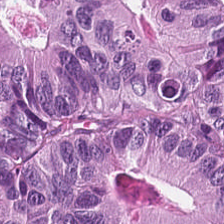Q: What is the predominant tissue type?
A: The field shows malignant epithelium.
